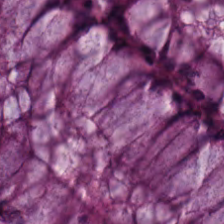Hematoxylin-and-eosin stained section · formalin-fixed paraffin-embedded section · brightfield.
Tissue class: non-neoplastic colon mucosa.
